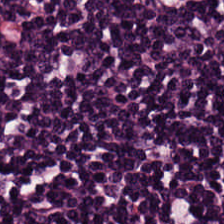Stain: H&E-stained tissue section.
Tissue type: lymphoid infiltrate.
